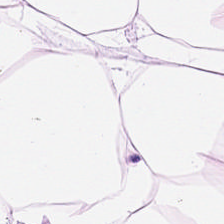Q: What is shown in this field?
A: It is adipose.
